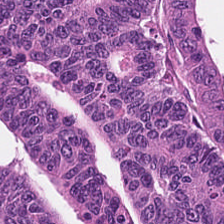Tissue: malignant epithelium.
